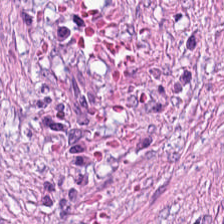H&E-stained tissue section · 20× equivalent magnification — Showing desmoplastic stroma.
